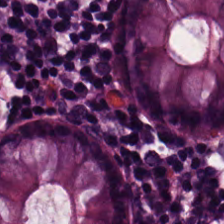Impression — benign colonic mucosa.
